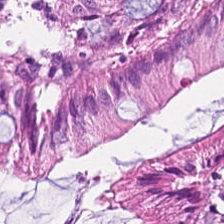Stain: H&E-stained tissue section.
Tissue class: non-neoplastic colon mucosa.
